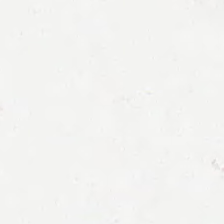H&E stain. FFPE. 0.5 µm/px — Q: What does this patch show?
A: Empty background.
